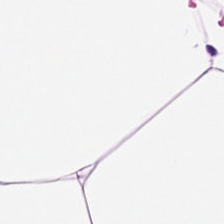Q: Identify the tissue.
A: It is adipose.
